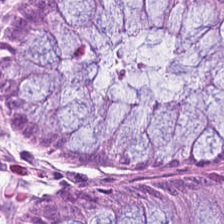The tissue here is normal colon mucosa.
